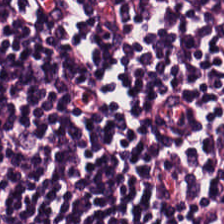Tissue type = lymphocytic infiltrate.
